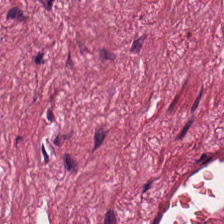Hematoxylin-and-eosin stained section · FFPE tissue section. Q: What is shown here?
A: It is desmoplastic stroma.
